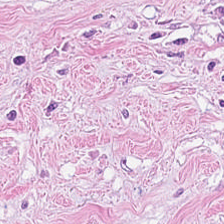FFPE · H&E stain · whole-slide-image patch.
Q: What is shown in this field?
A: The field shows tumor stroma.
